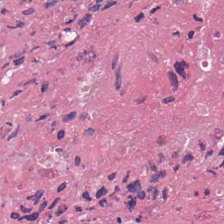H&E-stained tissue section.
Predominant tissue: cellular debris.
